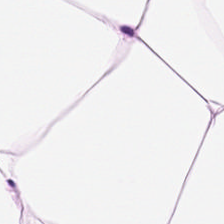Hematoxylin-and-eosin stained section. 20× equivalent magnification — Histology — fat tissue.
